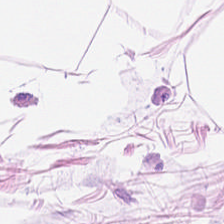Hematoxylin and eosin. 0.5 µm/px. WSI patch. The predominant tissue is adipose.
